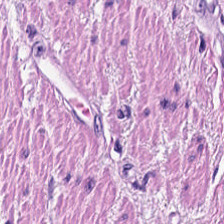Stain: H&E.
Tissue: smooth muscle.
